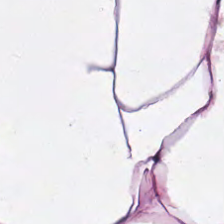Brightfield microscopy. FFPE tissue section. Hematoxylin-and-eosin stained section. Classification — adipose.
